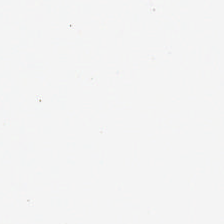20× equivalent magnification. 224×224 pixel tile. H&E — Empty field — background (no tissue).
